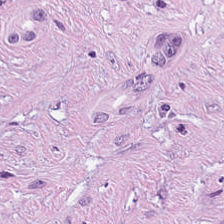Q: What is the predominant tissue type?
A: Desmoplastic stroma.
